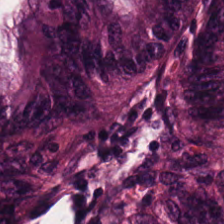H&E stain — Finding — colorectal adenocarcinoma epithelium.
